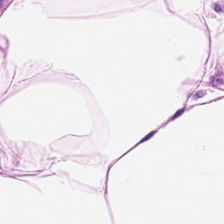FFPE. H&E-stained tissue section. 0.5 µm per pixel — Tissue class: adipose.
